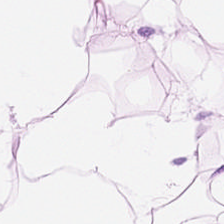Predominant tissue = fat tissue.
